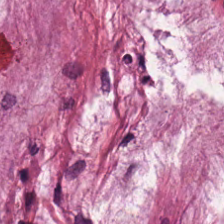H&E-stained tissue section — The classification is mucus.
